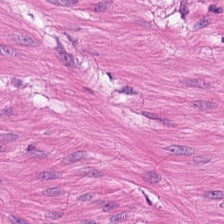H&E stain — Predominantly smooth-muscle tissue.
